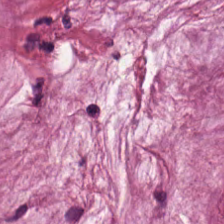H&E stain — Mucus.
